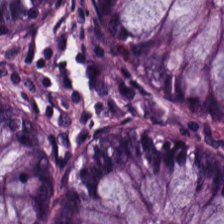224×224 pixel tile · H&E — Q: What is shown here?
A: The field shows normal colon mucosa.
